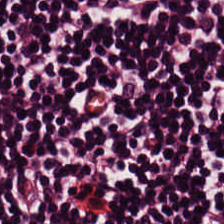Stain: H&E-stained tissue section.
Tissue type: lymphocyte aggregate.
